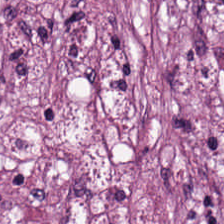20× equivalent magnification · H&E-stained tissue section.
Showing tumor stroma.
